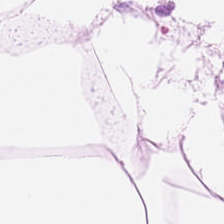H&E; 224×224 px patch; 0.5 µm per pixel. Q: What does this patch show?
A: Adipose.
